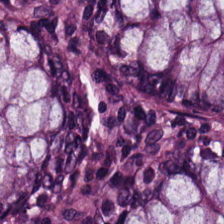Hematoxylin and eosin.
Classification — benign colonic mucosa.
